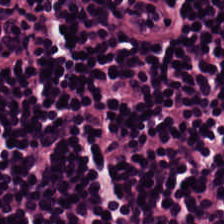H&E-stained tissue section. The tissue here is lymphocytic infiltrate.
